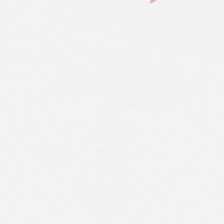H&E stain; 224×224 pixel tile — The field content is empty background.
